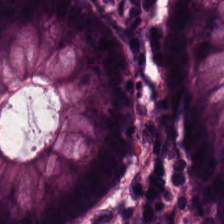Hematoxylin-and-eosin stained section · 224×224 pixel tile · 0.5 µm per pixel — Impression → benign colonic mucosa.
